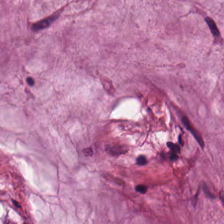H&E-stained tissue section. 20× equivalent magnification.
Q: What tissue type is shown here?
A: Mucin.
